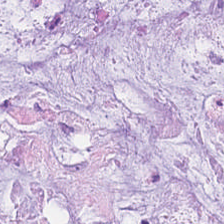Hematoxylin-and-eosin stained section.
{"tissue_type": "extracellular mucin"}
